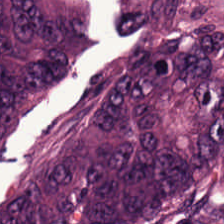20× equivalent magnification · H&E stain.
{"tissue_type": "colorectal adenocarcinoma epithelium"}
